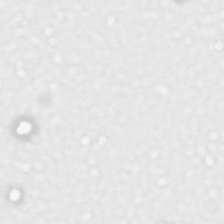Hematoxylin-and-eosin stained section · brightfield.
Impression — background.
